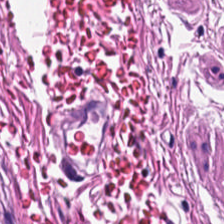224×224 px tile; H&E-stained tissue section — The predominant tissue is smooth muscle.
